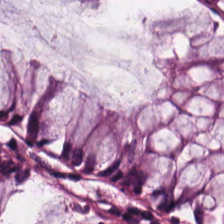H&E.
Predominantly non-neoplastic colon mucosa.
